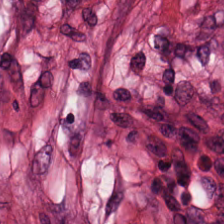H&E-stained tissue section; 224×224 px patch; FFPE. Tissue type = desmoplastic stroma.
